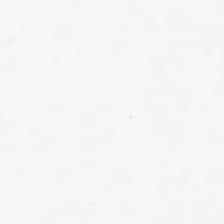H&E-stained tissue section. Empty field — empty background.
